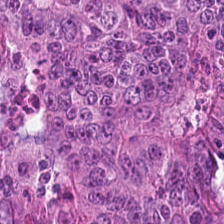Stain: hematoxylin and eosin.
Classification: colorectal adenocarcinoma epithelium.
